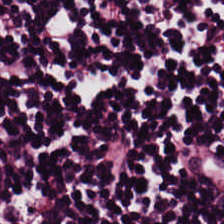20× equivalent magnification. H&E. Whole-slide-image patch. This patch shows lymphoid infiltrate.
